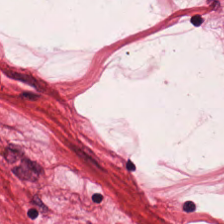Hematoxylin-and-eosin stained section.
Predominant tissue — muscularis.
